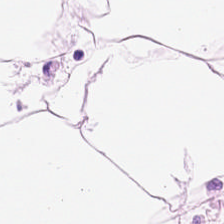0.5 µm per pixel · H&E stain. Predominantly adipose tissue.
